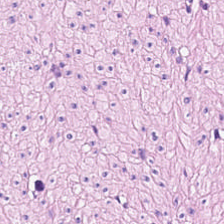Hematoxylin-and-eosin stained section.
Tissue = smooth-muscle tissue.
